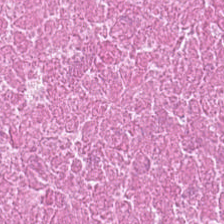H&E patch showing debris.
